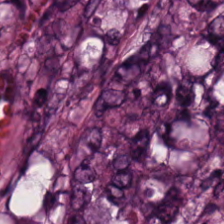Histology → tumor epithelium.
